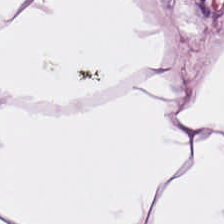H&E-stained section; the field shows fat tissue.
